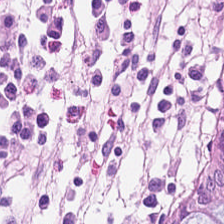Hematoxylin and eosin.
Classification = normal colonic mucosa.
